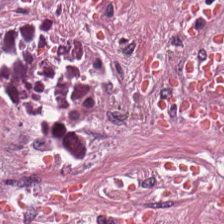The predominant tissue is tumor stroma.
